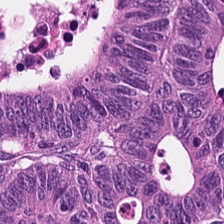H&E-stained tissue section.
This field is tumor epithelium.
